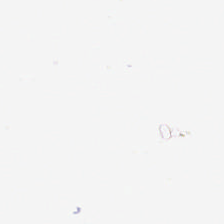Brightfield microscopy. 224×224 px patch. H&E stain. {"content": "background"}
